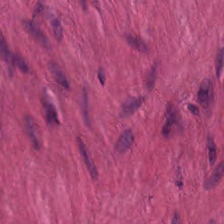Brightfield. H&E stain. 224×224 px patch. Impression — muscularis.
